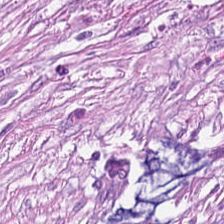H&E stain. Q: Identify the tissue.
A: It is tumor-associated stroma.
